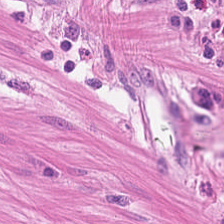H&E stain.
Tissue type: smooth-muscle tissue.
